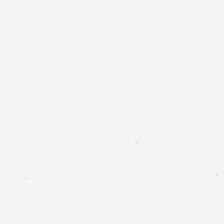224×224 px tile · H&E-stained tissue section · 0.5 µm/px. Histology → background (no tissue).
